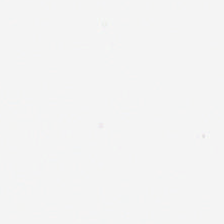No tissue present; background only.
